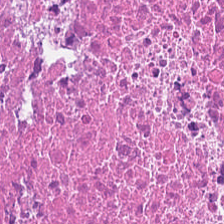H&E · whole-slide-image patch. Tissue class = debris.
